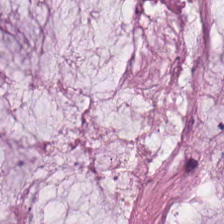Q: Classify this patch.
A: The field shows extracellular mucin.
